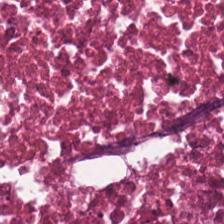Stain: hematoxylin and eosin.
Resolution: 0.5 µm per pixel.
Tissue: debris.
